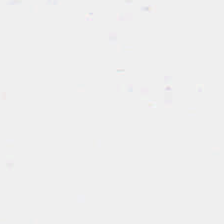Whole-slide-image patch. Hematoxylin and eosin. 224×224 px tile. Empty field — background.
